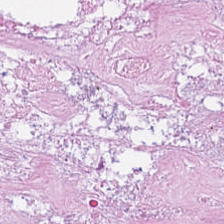Hematoxylin-and-eosin stained section.
Predominantly necrotic debris.
